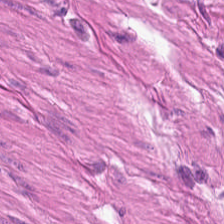Stain: hematoxylin-and-eosin stained section.
Resolution: 20× equivalent magnification.
Tissue type: smooth-muscle tissue.
